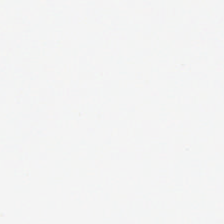Stain: H&E stain.
Tile size: 224×224 pixel tile.
Field content: no tissue.
